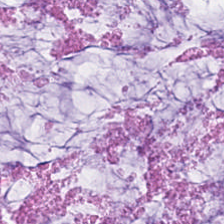H&E · whole-slide-image patch · 0.5 µm per pixel. Predominant tissue — mucin.
